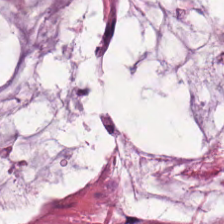Whole-slide-image patch · H&E stain.
Tissue type: mucus.
